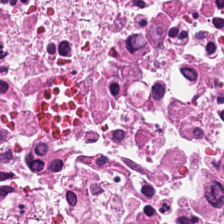H&E stain. The predominant tissue is necrotic debris.
